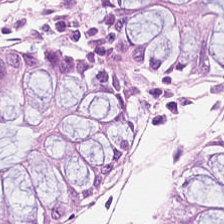20× equivalent magnification; 224×224 pixel tile; hematoxylin and eosin — Q: What tissue is shown?
A: This is non-neoplastic colon mucosa.
